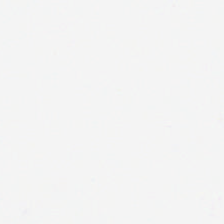H&E stain.
Q: What does this patch show?
A: The field shows background.
